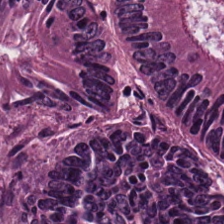Stain: H&E stain.
Preparation: formalin-fixed paraffin-embedded section.
Tissue: colorectal adenocarcinoma epithelium.
